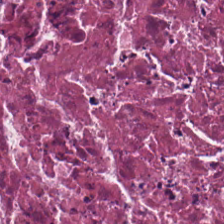20× equivalent magnification · H&E · brightfield. Predominant tissue = debris.
